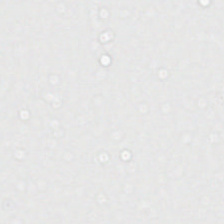Hematoxylin and eosin · 224×224 px tile — Field content — no tissue.
